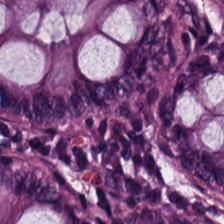224×224 px tile; H&E-stained tissue section — Predominant tissue: benign colonic mucosa.
